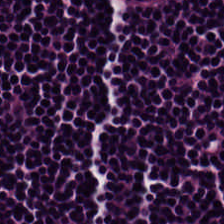H&E; brightfield; 0.5 µm per pixel.
This patch shows lymphocytes.
